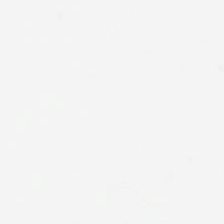FFPE tissue section · H&E — Content — background (no tissue).
